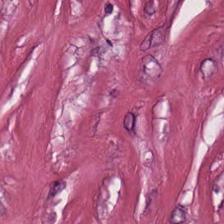H&E.
Cancer-associated stroma.
